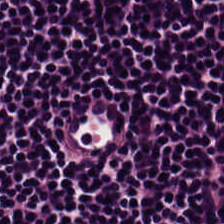Stain: H&E-stained tissue section.
Tissue: lymphocytic infiltrate.
